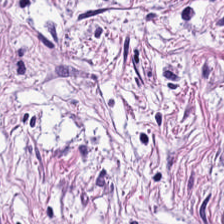Hematoxylin and eosin; 224×224 px tile — This field is desmoplastic stroma.
